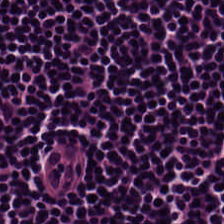224×224 px patch; hematoxylin and eosin — Q: Classify this patch.
A: The field shows lymphoid infiltrate.
